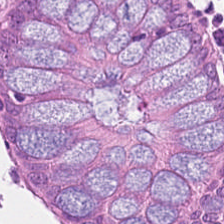{"tissue_type": "normal colonic mucosa"}
